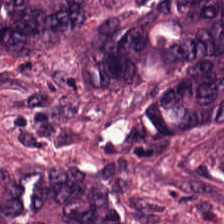Stain: H&E-stained tissue section.
Classification: malignant epithelium.
